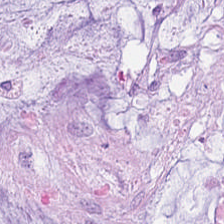H&E-stained section; the field shows mucin.
